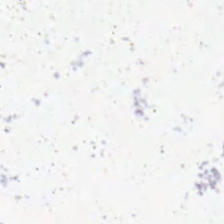H&E stain; FFPE.
Background — no tissue in this field.
